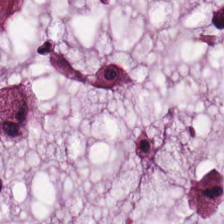Stain: H&E-stained tissue section.
Preparation: formalin-fixed paraffin-embedded section.
Predominant tissue: mucus.
